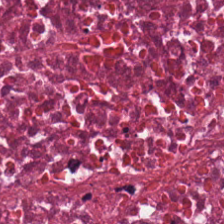H&E stain · brightfield.
This patch shows cellular debris.
